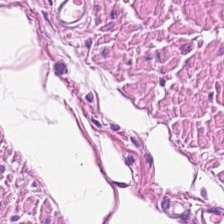Hematoxylin and eosin — Q: What tissue is shown?
A: The field shows muscularis.
